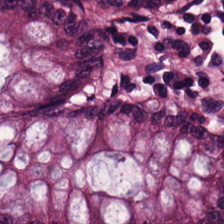The classification is normal colon mucosa.
